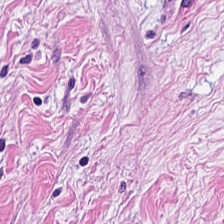This patch shows cancer-associated stroma.
